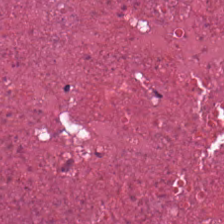Hematoxylin and eosin; 0.5 µm/px.
The predominant tissue is cellular debris.
